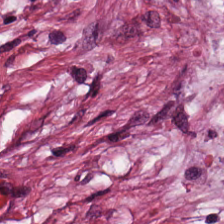H&E — tumor-associated stroma.
